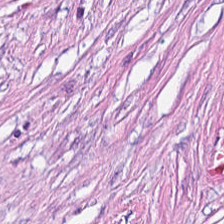H&E — tumor-associated stroma.
